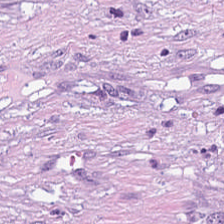Showing tumor stroma.
